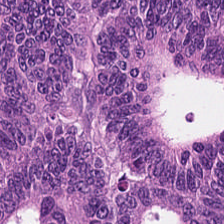The predominant tissue is tumor epithelium.
